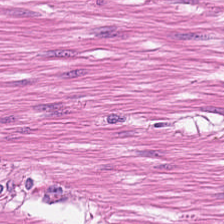Predominant tissue = muscularis.
